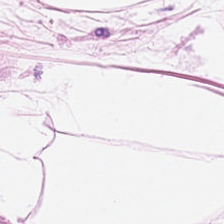Predominantly adipose.
